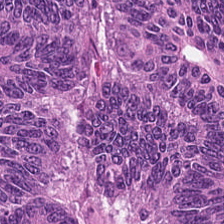H&E-stained tissue section.
Predominantly colorectal adenocarcinoma.
